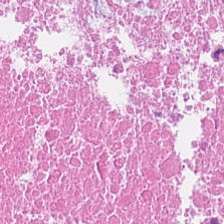Q: What tissue is shown?
A: The field shows debris.
